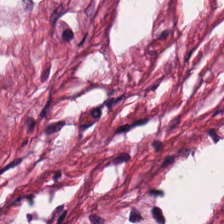The predominant tissue is cancer-associated stroma.
